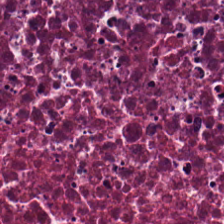0.5 µm per pixel; 224×224 px patch; H&E. Debris.
